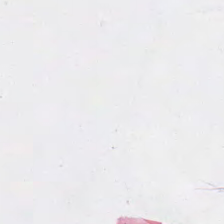224×224 pixel tile · hematoxylin and eosin.
Field content — no tissue.
